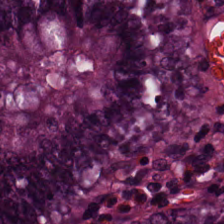H&E stain. Brightfield microscopy. Q: What tissue is shown?
A: Non-neoplastic colon mucosa.
